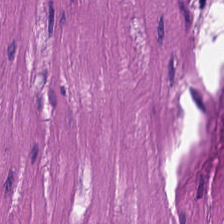Whole-slide-image patch · H&E-stained tissue section — Predominant tissue — smooth muscle.
